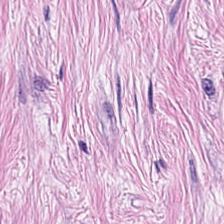This field is cancer-associated stroma.
